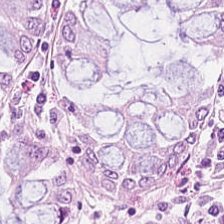H&E; whole-slide-image patch.
The tissue here is normal colonic mucosa.
